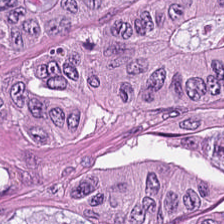FFPE tissue section. 224×224 pixel tile. H&E-stained tissue section — The classification is malignant epithelium.
